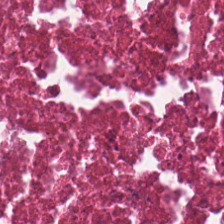Hematoxylin-and-eosin stained section; 224×224 px patch; 0.5 microns per pixel.
Q: Identify the tissue.
A: This is debris.
